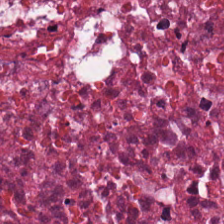0.5 microns per pixel; H&E. Cellular debris.
